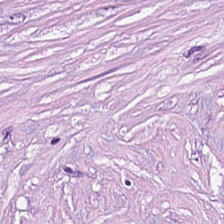The tissue is tumor-associated stroma.
